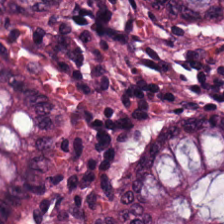H&E-stained tissue section.
Normal colonic mucosa.
